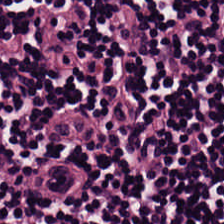H&E stain. Whole-slide-image patch. Lymphocytes.
